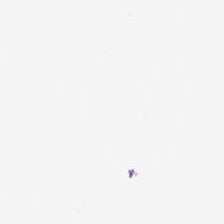H&E stain; FFPE tissue section.
Background — no tissue in this field.
